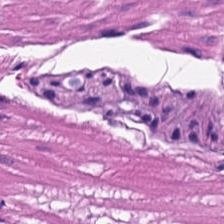Tissue class: smooth-muscle tissue.
